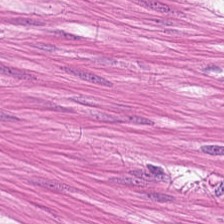H&E-stained tissue section. 224×224 px tile. Formalin-fixed paraffin-embedded section. This patch shows smooth-muscle tissue.
